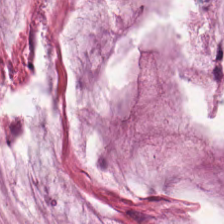224×224 px tile · brightfield microscopy · H&E stain.
This patch shows mucus.
